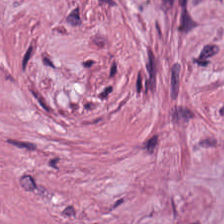FFPE. 0.5 µm/px. H&E stain.
Q: Classify this patch.
A: It is tumor stroma.
